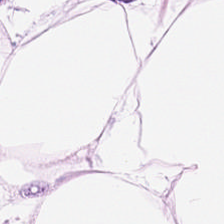Hematoxylin-and-eosin stained section; FFPE tissue section — Q: What is the predominant tissue type?
A: The field shows adipose.
